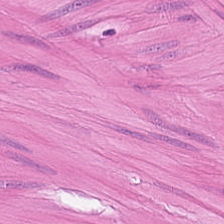Tissue type — smooth-muscle tissue.
